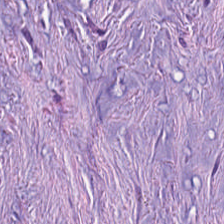H&E.
Classification = desmoplastic stroma.
